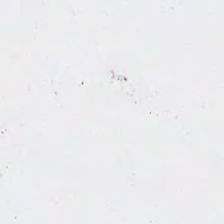H&E stain. Q: What does this patch show?
A: It is empty background.
